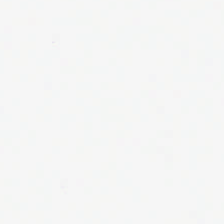Brightfield microscopy. Hematoxylin and eosin. Field content: background.
